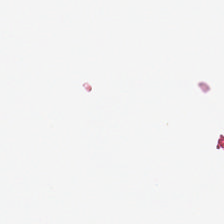Content = background (no tissue).
